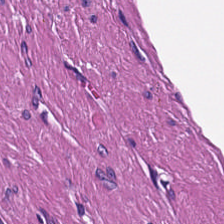Hematoxylin and eosin — Histology → smooth muscle.
